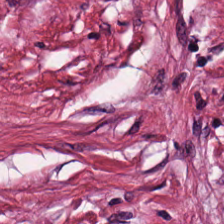Stain: H&E-stained tissue section.
Predominant tissue: cancer-associated stroma.
